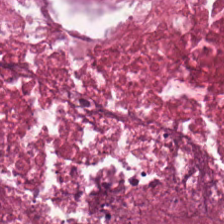Hematoxylin-and-eosin stained section — {"tissue_type": "necrotic debris"}
